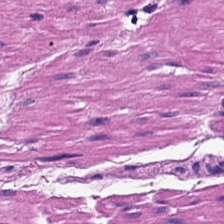The predominant tissue is smooth-muscle tissue.
